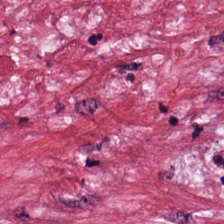H&E · FFPE tissue section — Classification = desmoplastic stroma.
